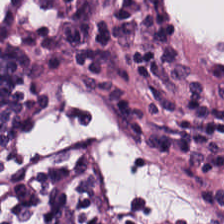Hematoxylin-and-eosin stained section; 224×224 pixel tile — Predominant tissue — lymphocytic infiltrate.
